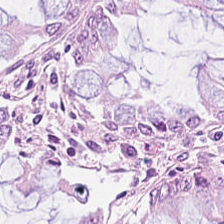Stain: H&E-stained tissue section.
Tissue class: non-neoplastic colon mucosa.
